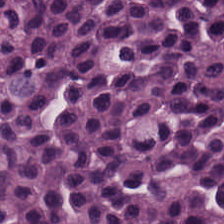Stain: hematoxylin and eosin.
Acquisition: brightfield.
Tile size: 224×224 px tile.
Predominant tissue: lymphocytic infiltrate.
